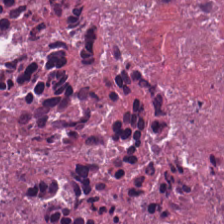H&E-stained tissue section. Q: What tissue is shown?
A: The field shows cellular debris.
